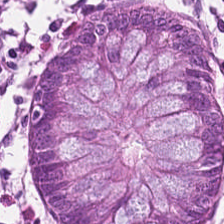Hematoxylin-and-eosin stained section — {"tissue_type": "normal colon mucosa"}
